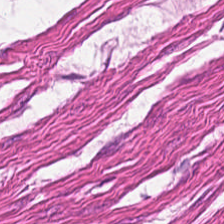H&E — muscularis.
